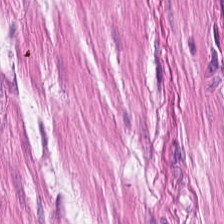Stain: hematoxylin-and-eosin stained section.
Preparation: FFPE tissue section.
Acquisition: brightfield.
Tissue: smooth-muscle tissue.
